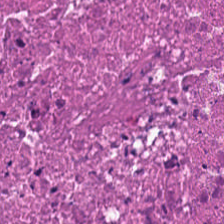H&E stain.
Predominant tissue: necrotic debris.
